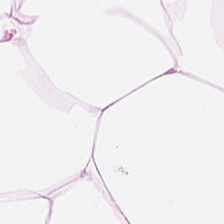Hematoxylin-and-eosin stained section · 224×224 pixel tile. Tissue class = adipose tissue.
